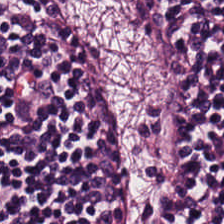Predominant tissue = lymphoid infiltrate.
